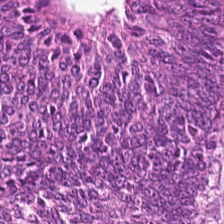The classification is adenocarcinoma.
